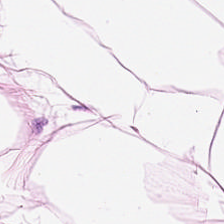H&E stain. 224×224 pixel tile. 20× equivalent magnification — Finding → fat tissue.
